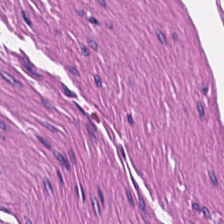0.5 µm per pixel · H&E · WSI patch. Classification: muscularis.
